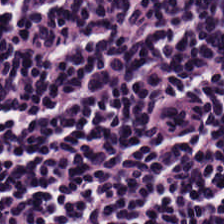This patch shows lymphoid infiltrate.
